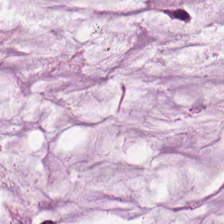Stain: H&E stain.
Tissue class: mucus.
